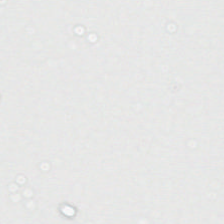Q: What is shown here?
A: It is background.
